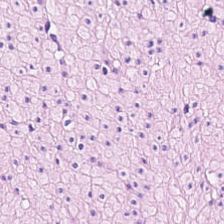H&E-stained tissue section.
Histology → smooth muscle.
